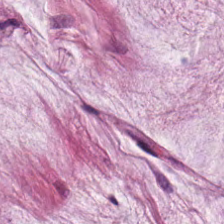The tissue type is extracellular mucin.
